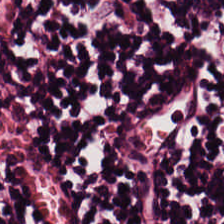H&E stain. WSI patch. This patch shows lymphocytes.
